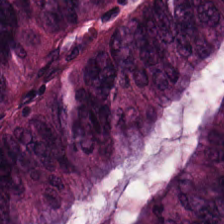Hematoxylin and eosin. Tissue = adenocarcinoma.
